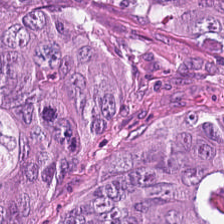H&E stain. Tissue type: tumor epithelium.
